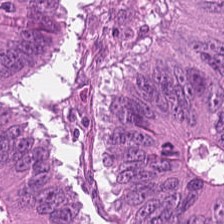Hematoxylin-and-eosin stained section.
This field is colorectal adenocarcinoma.
